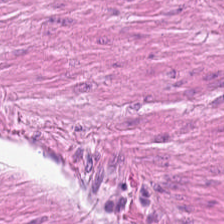224×224 px tile · H&E · formalin-fixed paraffin-embedded section. Tissue type = muscularis.
